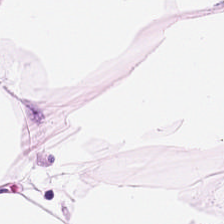H&E-stained tissue section.
Histology — fat tissue.
